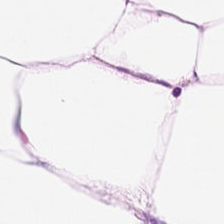Hematoxylin and eosin. Q: What type of tissue is this?
A: This is adipose.
